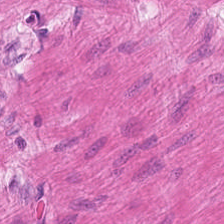H&E stain — Finding — smooth muscle.
